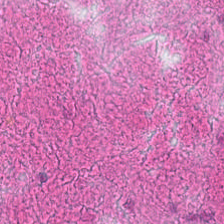Hematoxylin-and-eosin stained section.
Showing cellular debris.
